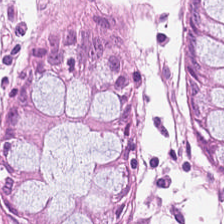0.5 µm/px; brightfield; H&E-stained tissue section — Predominant tissue: benign colonic mucosa.
